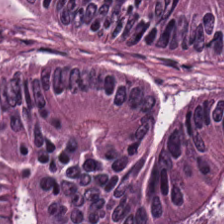H&E — malignant epithelium.
